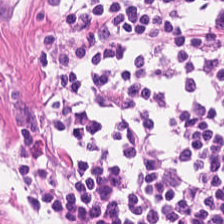20× equivalent magnification · hematoxylin and eosin · 224×224 px patch.
The tissue here is muscularis.
